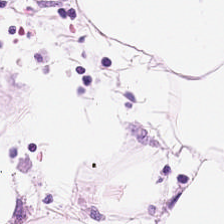Stain: H&E.
Tile size: 224×224 pixel tile.
Tissue type: adipose tissue.
